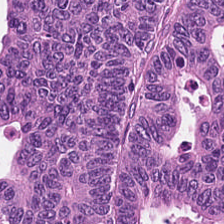Hematoxylin-and-eosin stained section.
This patch shows colorectal adenocarcinoma.
